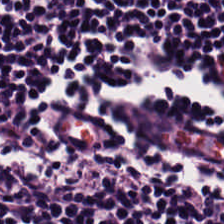This patch shows lymphocytic infiltrate.
